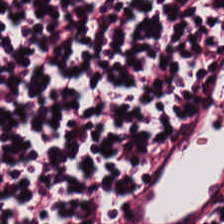H&E stain — The tissue type is lymphoid infiltrate.
